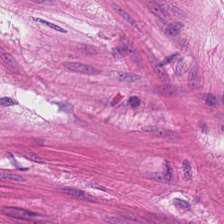Hematoxylin-and-eosin stained section. The tissue here is muscularis.
